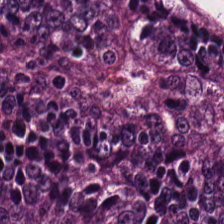Stain: H&E stain.
Acquisition: WSI patch.
Classification: colorectal adenocarcinoma.
